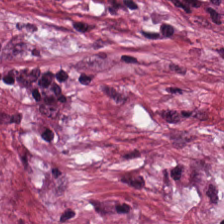Formalin-fixed paraffin-embedded section; 0.5 µm per pixel; H&E stain — Tissue class — desmoplastic stroma.
